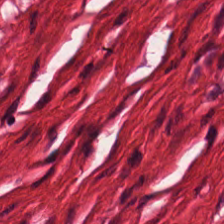Stain: H&E.
Resolution: 0.5 microns per pixel.
Acquisition: brightfield microscopy.
Classification: smooth muscle.
